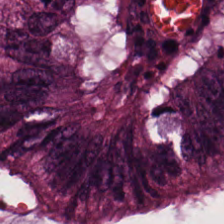Q: Classify this patch.
A: The field shows colorectal adenocarcinoma.
